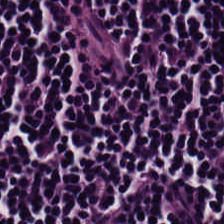Hematoxylin and eosin.
Classification: lymphocytes.
